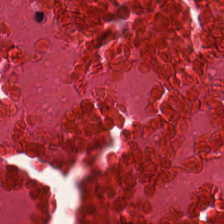H&E. 224×224 pixel tile. Formalin-fixed paraffin-embedded section — Tissue class — debris.
